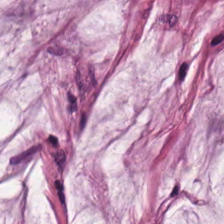Hematoxylin and eosin. 224×224 px tile. Predominantly mucus.
